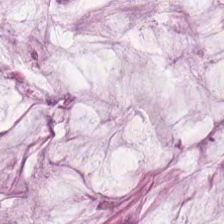0.5 µm per pixel. H&E stain. FFPE.
Q: What tissue type is shown here?
A: This is mucin.
